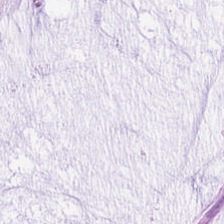Hematoxylin and eosin.
The predominant tissue is mucus.
